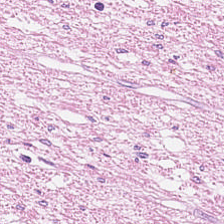This patch shows smooth muscle.
